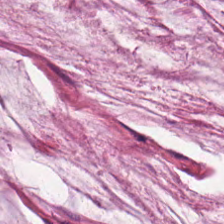H&E — mucus.
